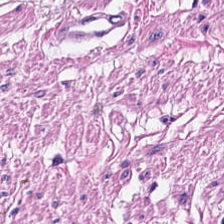Tissue = smooth-muscle tissue.
